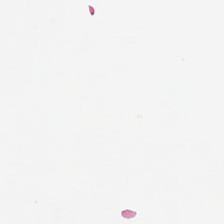Stain: H&E-stained tissue section.
Resolution: 20× equivalent magnification.
Content: background.
